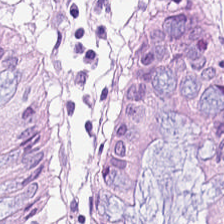224×224 pixel tile · H&E-stained tissue section. The tissue here is normal colonic mucosa.
